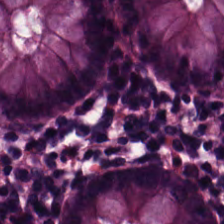H&E.
Showing non-neoplastic colon mucosa.
